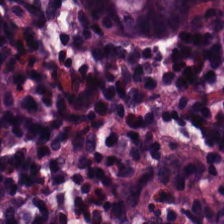H&E — The predominant tissue is non-neoplastic colon mucosa.
